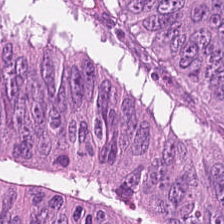H&E — This patch shows adenocarcinoma.
